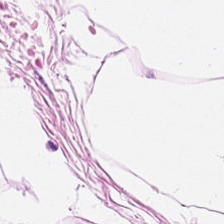H&E — This field is adipose tissue.
